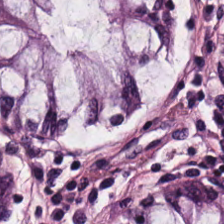Hematoxylin and eosin. 224×224 pixel tile — The predominant tissue is normal colon mucosa.
